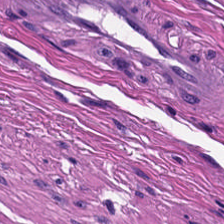H&E — Showing muscularis.
